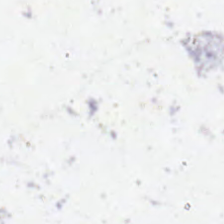H&E stain — Background (no tissue).
